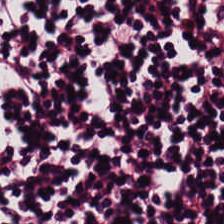H&E stain — Lymphocytes.
